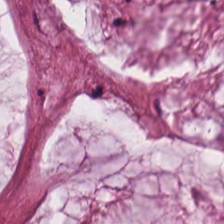224×224 px patch · H&E stain · brightfield microscopy — Predominant tissue = mucus.
